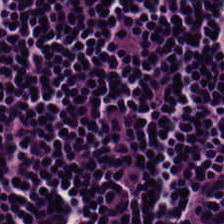Q: Classify this patch.
A: This is lymphocytes.
